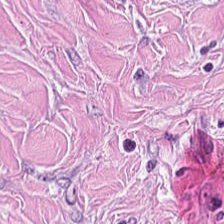0.5 microns per pixel; hematoxylin and eosin — The tissue here is cancer-associated stroma.
